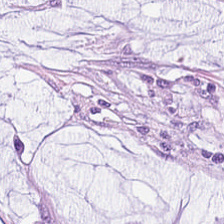Whole-slide-image patch. H&E-stained tissue section.
Predominant tissue — extracellular mucin.
